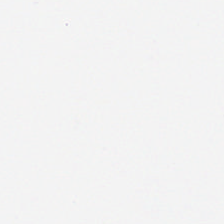H&E stain.
The content is empty background.
